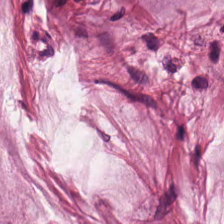Stain: hematoxylin-and-eosin stained section.
Acquisition: WSI patch.
Tile size: 224×224 px patch.
Tissue type: mucin.
